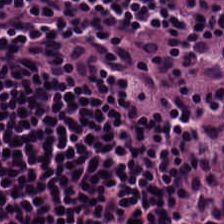0.5 µm/px · H&E-stained tissue section.
Showing lymphocytic infiltrate.
